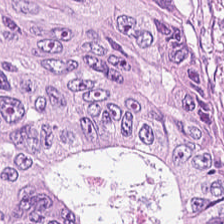Showing colorectal adenocarcinoma epithelium.
